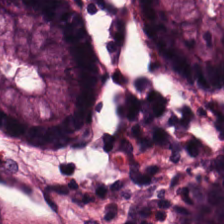H&E-stained tissue section. Non-neoplastic colon mucosa.
